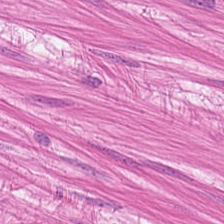Stain: H&E.
Tissue type: muscularis.
